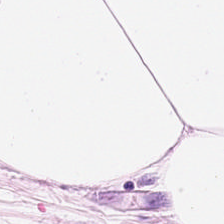H&E-stained tissue section · FFPE — Adipose.
